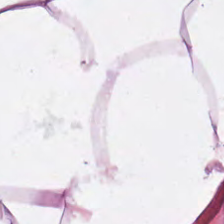Stain: hematoxylin-and-eosin stained section.
Classification: adipocytes.
